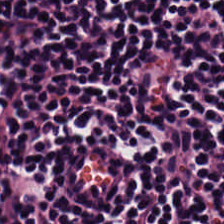Tissue class: lymphocyte aggregate.
